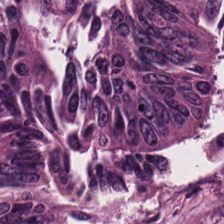H&E-stained tissue section. 224×224 px patch. Q: What type of tissue is this?
A: Adenocarcinoma.
